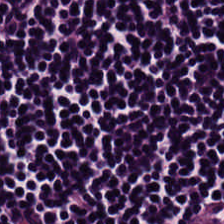224×224 px tile; H&E stain.
{"tissue_type": "lymphocytes"}
